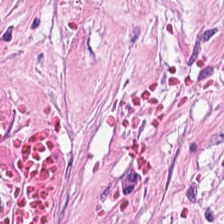Hematoxylin-and-eosin stained section.
Tissue class — cancer-associated stroma.
